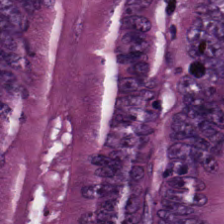0.5 µm per pixel; FFPE tissue section; H&E stain.
Q: What is shown in this field?
A: It is colorectal adenocarcinoma.
